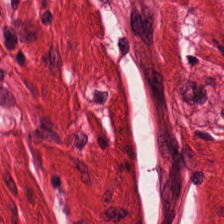224×224 pixel tile · whole-slide-image patch · hematoxylin-and-eosin stained section. Q: Identify the tissue.
A: The field shows muscularis.
